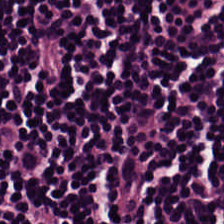H&E-stained tissue section — {"tissue_type": "lymphocyte aggregate"}
